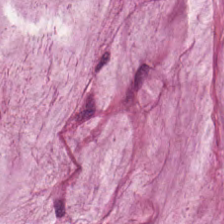H&E patch showing mucin.
